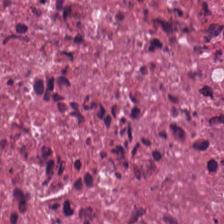Hematoxylin and eosin. Formalin-fixed paraffin-embedded section. Q: What is shown in this field?
A: Cellular debris.
